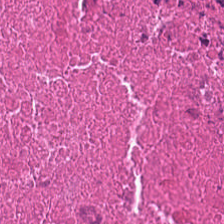Stain: hematoxylin and eosin.
Tissue: cellular debris.
